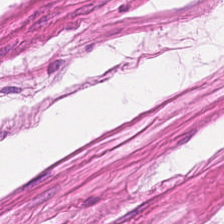224×224 pixel tile; hematoxylin and eosin; brightfield — Q: What is shown in this field?
A: This is smooth-muscle tissue.
